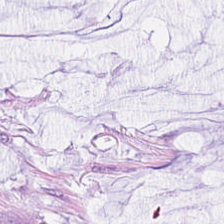WSI patch · hematoxylin and eosin. The classification is mucus.
